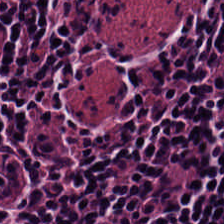Q: What tissue type is shown here?
A: It is lymphocytes.
